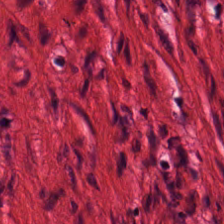Smooth-muscle tissue.
